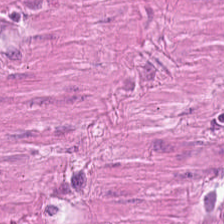H&E-stained tissue section.
Showing smooth muscle.
